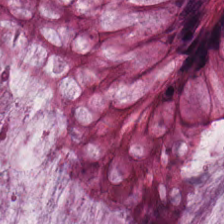Whole-slide-image patch · 0.5 µm per pixel · hematoxylin-and-eosin stained section — Predominantly normal colon mucosa.
